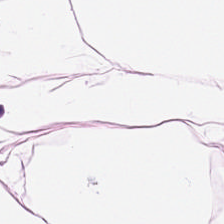Classification: fat tissue.
